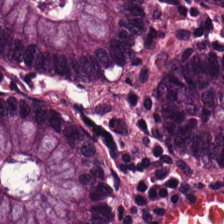Q: What does this patch show?
A: Normal colonic mucosa.
